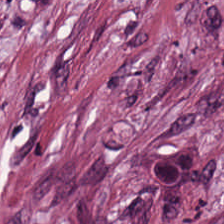Hematoxylin and eosin. Showing desmoplastic stroma.
